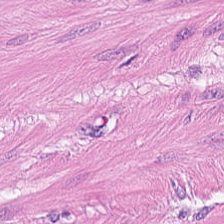224×224 px patch. H&E. WSI patch — Impression → smooth muscle.
